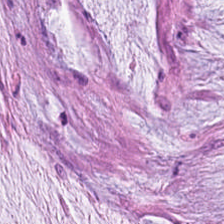Hematoxylin and eosin · 224×224 px patch · 0.5 microns per pixel.
Predominant tissue — mucus.
